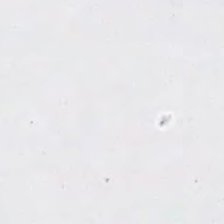Hematoxylin and eosin — Empty background.
